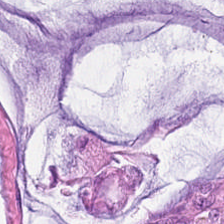H&E-stained tissue section.
Q: What tissue type is shown here?
A: The field shows mucus.
